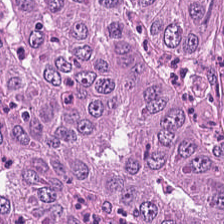H&E-stained tissue section — Impression — tumor epithelium.
